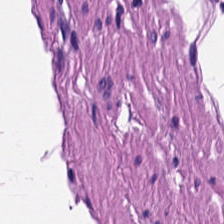H&E-stained tissue section. {"tissue_type": "smooth muscle"}
